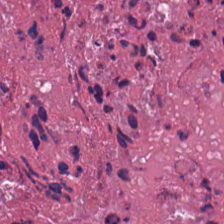20× equivalent magnification · hematoxylin and eosin · 224×224 pixel tile — The tissue here is debris.
